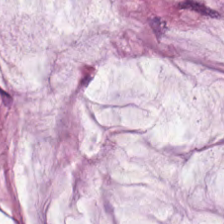H&E stain. Formalin-fixed paraffin-embedded section. 224×224 px patch.
The tissue here is mucin.
